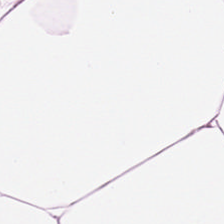H&E-stained tissue section.
Showing fat tissue.
